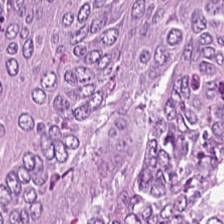FFPE tissue section. H&E-stained tissue section. 224×224 px patch.
Tissue type — adenocarcinoma.
